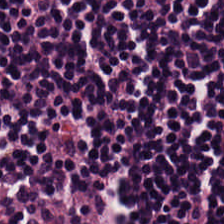Formalin-fixed paraffin-embedded section; hematoxylin-and-eosin stained section.
The tissue here is lymphocytic infiltrate.
